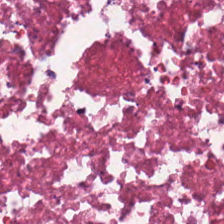Stain: hematoxylin-and-eosin stained section.
Resolution: 0.5 µm per pixel.
Classification: necrotic debris.
